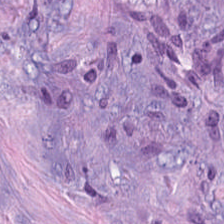224×224 px patch · formalin-fixed paraffin-embedded section · hematoxylin and eosin.
Impression — desmoplastic stroma.
